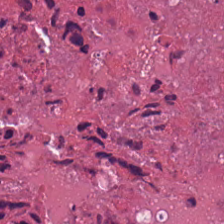H&E-stained tissue section; brightfield microscopy.
Showing debris.
